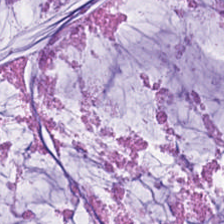H&E stain — Q: What is the predominant tissue type?
A: It is mucus.
